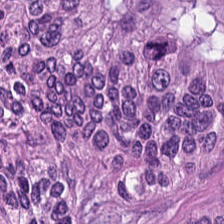H&E — Impression — malignant epithelium.
